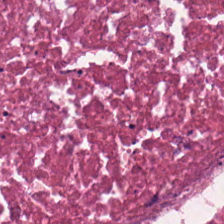Hematoxylin-and-eosin section: cellular debris.
